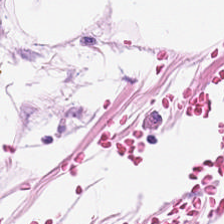H&E stain.
Classification = fat tissue.
